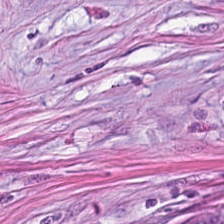Hematoxylin and eosin · WSI patch — Q: What is shown here?
A: The field shows desmoplastic stroma.
